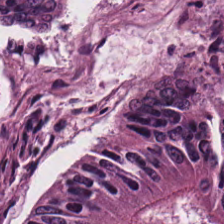Predominantly adenocarcinoma.
